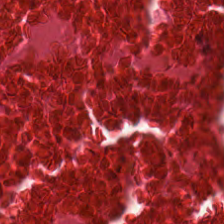Hematoxylin and eosin; 0.5 microns per pixel. Q: Classify this patch.
A: It is necrotic debris.
